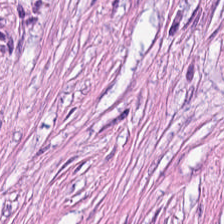The predominant tissue is desmoplastic stroma.
